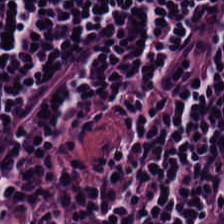Hematoxylin and eosin — Q: What tissue type is shown here?
A: It is lymphocytic infiltrate.
